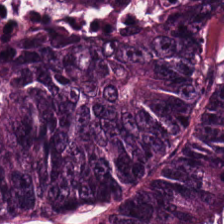H&E-stained section; the field shows adenocarcinoma.
